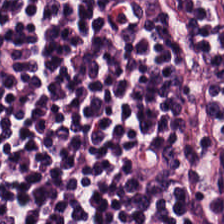Q: What type of tissue is this?
A: Lymphocytic infiltrate.
